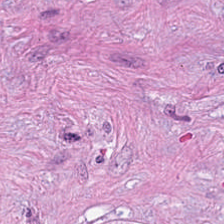Q: Identify the tissue.
A: Tumor stroma.
